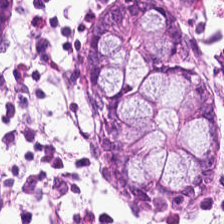{"tissue_type": "normal colonic mucosa"}
